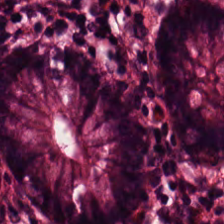Hematoxylin and eosin. Showing normal colonic mucosa.
